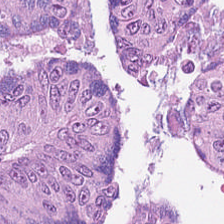{"tissue_type": "adenocarcinoma"}
